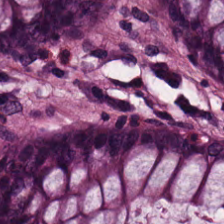Formalin-fixed paraffin-embedded section. H&E stain. Q: What is the predominant tissue type?
A: Normal colon mucosa.
